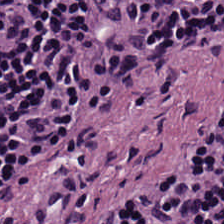H&E stain — Showing lymphocyte aggregate.
